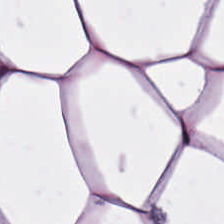Hematoxylin and eosin. 0.5 µm/px. The tissue class is adipose tissue.
